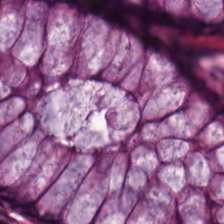H&E-stained tissue section; 20× equivalent magnification. Q: What is shown in this field?
A: This is non-neoplastic colon mucosa.
